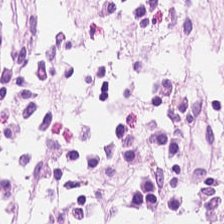Hematoxylin-and-eosin stained section — Finding → normal colonic mucosa.
